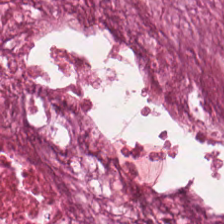WSI patch · H&E-stained tissue section · 20× equivalent magnification. Tissue class: cellular debris.
